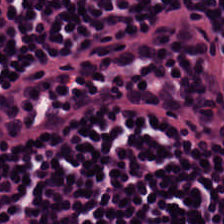Q: Identify the tissue.
A: The field shows lymphocytic infiltrate.
